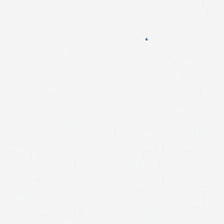H&E — This patch shows no tissue.
